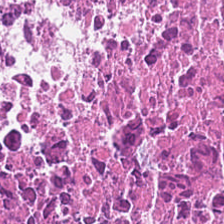Debris.
